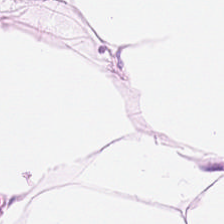H&E stain. WSI patch — {"tissue_type": "adipose tissue"}
